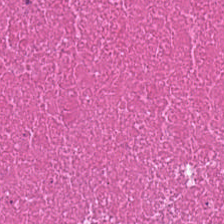H&E.
Tissue = debris.
